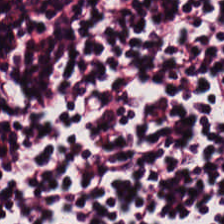H&E.
The tissue here is lymphocytes.
